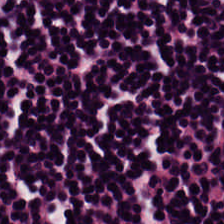224×224 pixel tile. H&E-stained tissue section. The predominant tissue is lymphocytic infiltrate.
